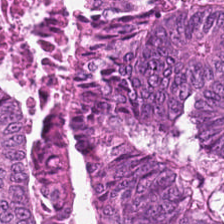The tissue type is malignant epithelium.
